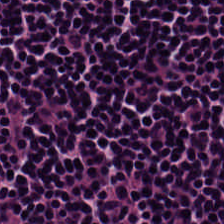Hematoxylin and eosin. This field is lymphocytes.
